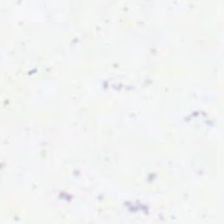Hematoxylin and eosin. This patch shows empty background.
